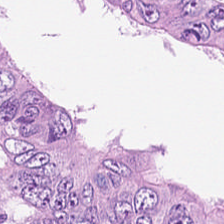224×224 pixel tile. Hematoxylin-and-eosin stained section. 0.5 µm/px — Q: What is the predominant tissue type?
A: It is tumor epithelium.
